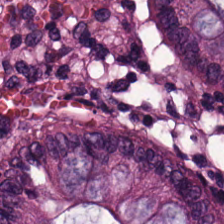H&E stain. FFPE. Brightfield.
This patch shows normal colonic mucosa.
